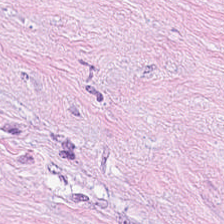Tissue: cancer-associated stroma.
